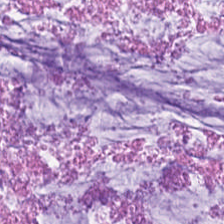224×224 px tile; 0.5 µm per pixel; hematoxylin and eosin — Mucin.
